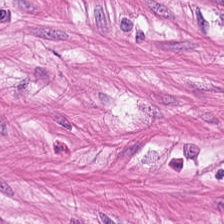H&E. Q: What is shown in this field?
A: The field shows smooth muscle.
